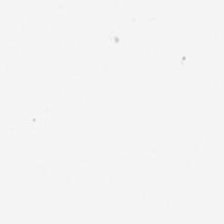Hematoxylin and eosin — Q: What is shown in this field?
A: The field shows no tissue.
